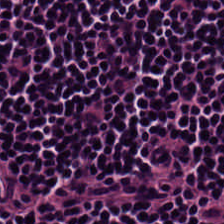0.5 µm per pixel. Hematoxylin-and-eosin stained section.
Classification — lymphocyte aggregate.
